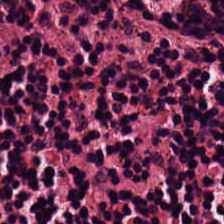Stain: hematoxylin-and-eosin stained section.
Predominant tissue: lymphoid infiltrate.
